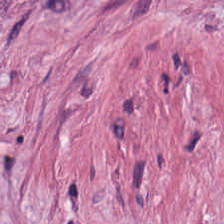Showing desmoplastic stroma.
